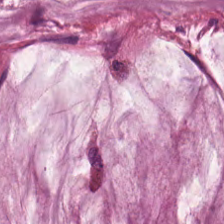Classification: mucus.
